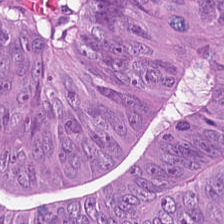Hematoxylin and eosin; 20× equivalent magnification. Predominantly tumor epithelium.
